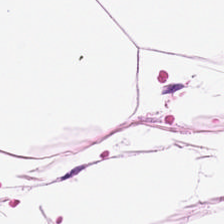0.5 µm/px. H&E stain.
Predominant tissue: fat tissue.
